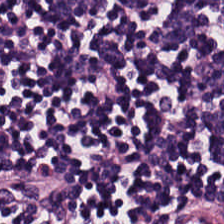224×224 pixel tile · H&E · 0.5 microns per pixel — Impression — lymphocyte aggregate.
